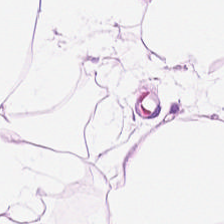H&E; WSI patch.
Tissue type — adipose.
